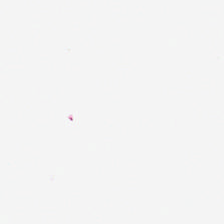Hematoxylin-and-eosin stained section · formalin-fixed paraffin-embedded section. Q: What is shown in this field?
A: It is background (no tissue).
